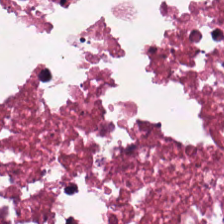Hematoxylin and eosin. Predominant tissue — debris.
